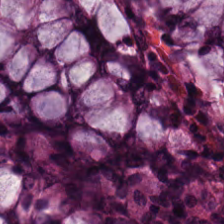Hematoxylin and eosin.
Histology — non-neoplastic colon mucosa.
